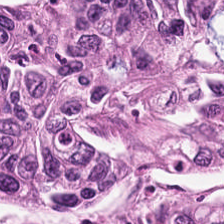Hematoxylin-and-eosin stained section. The classification is malignant epithelium.
